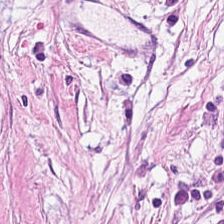Predominant tissue: tumor-associated stroma.
